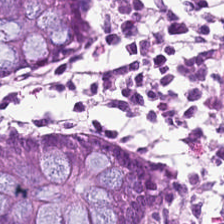Whole-slide-image patch; hematoxylin-and-eosin stained section; 0.5 µm per pixel — This field is normal colonic mucosa.
